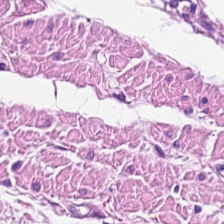Hematoxylin and eosin; FFPE.
This field is muscularis.
